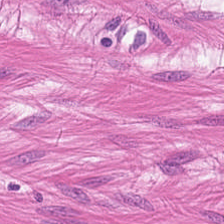H&E stain · 0.5 µm per pixel · FFPE. Finding → smooth-muscle tissue.
